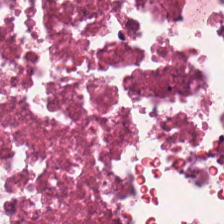H&E stain. Brightfield. 224×224 px patch.
Q: What tissue type is shown here?
A: Necrotic debris.
